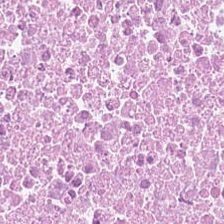Stain: H&E stain.
Tissue class: necrotic debris.
